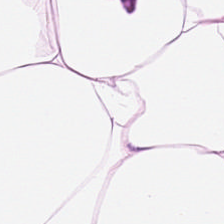H&E-stained tissue section — Q: What is shown here?
A: The field shows adipose.
